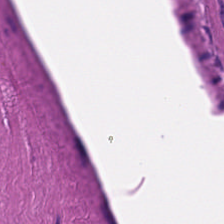0.5 µm per pixel. Hematoxylin and eosin. Q: What is the predominant tissue type?
A: It is muscularis.
